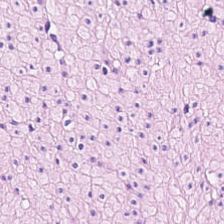H&E-stained tissue section · 0.5 µm/px.
Impression — smooth-muscle tissue.
